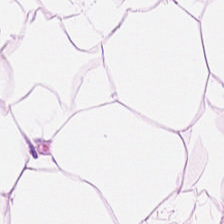0.5 µm/px · H&E — The classification is adipocytes.
